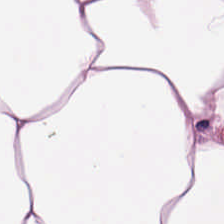Q: What tissue type is shown here?
A: It is adipose tissue.
